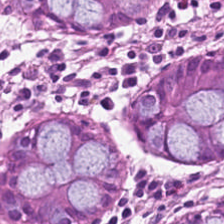H&E — The tissue class is normal colon mucosa.
